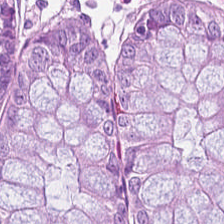H&E-stained tissue section · 224×224 px patch.
{"tissue_type": "normal colon mucosa"}
